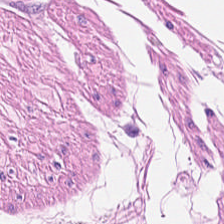Stain: H&E.
Classification: smooth muscle.
